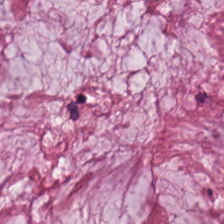The predominant tissue is mucin.
